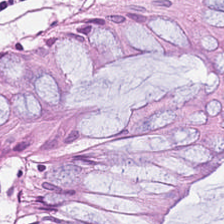0.5 microns per pixel · 224×224 pixel tile · H&E.
Q: Classify this patch.
A: Normal colonic mucosa.
